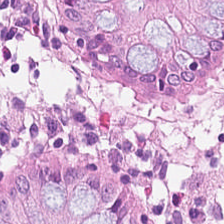FFPE tissue section; H&E-stained tissue section; brightfield — Predominantly non-neoplastic colon mucosa.
